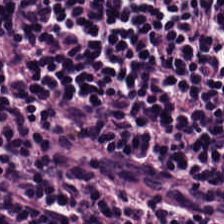WSI patch; formalin-fixed paraffin-embedded section; H&E-stained tissue section — This field is lymphocyte aggregate.
